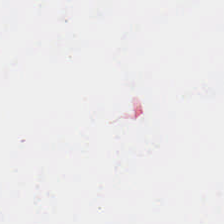H&E-stained tissue section.
This field is background (no tissue).
